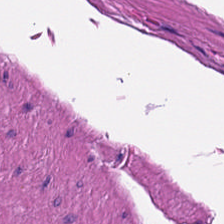H&E-stained tissue section. Predominantly smooth-muscle tissue.
